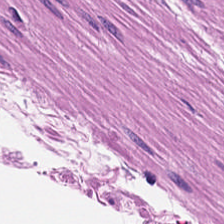H&E-stained tissue section. Histology — muscularis.
